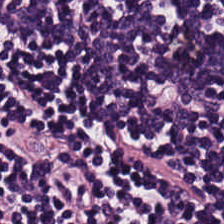Impression → lymphoid infiltrate.
